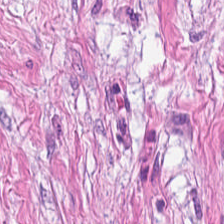Stain: hematoxylin-and-eosin stained section.
Tile size: 224×224 pixel tile.
Preparation: formalin-fixed paraffin-embedded section.
Tissue class: cancer-associated stroma.
